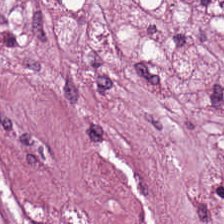Hematoxylin-and-eosin stained section; 224×224 px patch.
Predominant tissue — tumor stroma.
